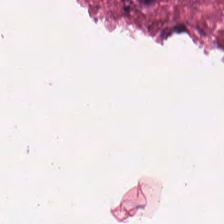H&E-stained section; the field shows cellular debris.
